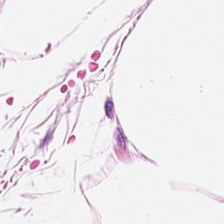H&E — adipocytes.
